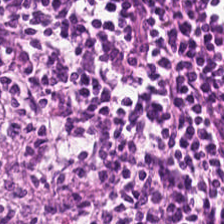Brightfield microscopy. Hematoxylin-and-eosin stained section.
Q: What type of tissue is this?
A: It is lymphocytic infiltrate.
